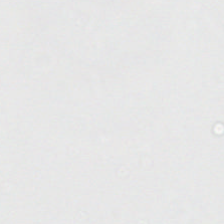H&E stain. Content: empty background.
